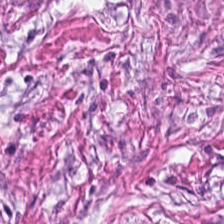Hematoxylin and eosin · 224×224 pixel tile. {"tissue_type": "tumor-associated stroma"}
